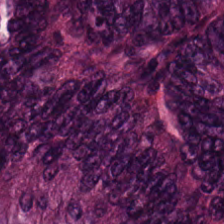Formalin-fixed paraffin-embedded section. Hematoxylin-and-eosin stained section.
Classification — malignant epithelium.
